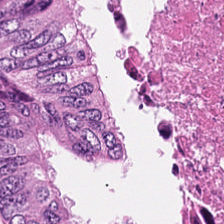This field is necrotic debris.
